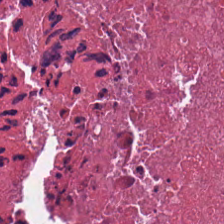224×224 px patch; whole-slide-image patch; H&E stain.
Cellular debris.
